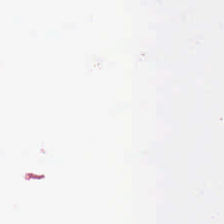H&E stain — This patch shows empty background.
